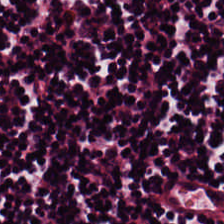Stain: hematoxylin-and-eosin stained section.
Predominant tissue: lymphocytes.
